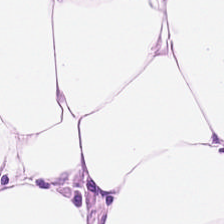H&E stain — Impression → adipose.
